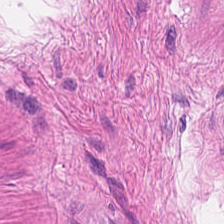H&E-stained tissue section. Predominantly smooth-muscle tissue.
